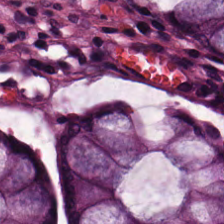H&E. Q: What is shown here?
A: The field shows benign colonic mucosa.
